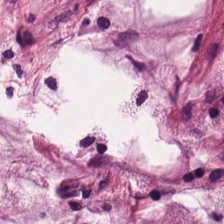H&E — The tissue class is mucin.
